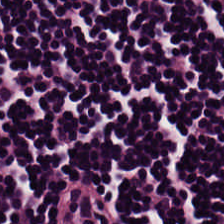H&E.
{"tissue_type": "lymphocytic infiltrate"}
